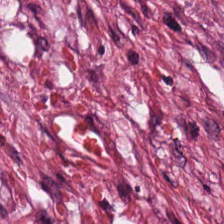Hematoxylin-and-eosin stained section.
Impression — tumor stroma.
